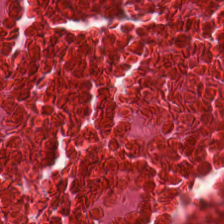H&E · brightfield microscopy — Q: What does this patch show?
A: The field shows necrotic debris.
